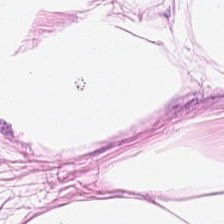FFPE; H&E — Predominant tissue: adipose tissue.
